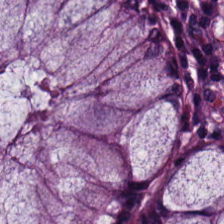H&E stain. The predominant tissue is benign colonic mucosa.
